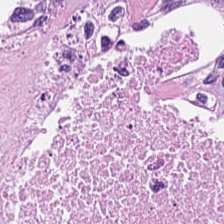Hematoxylin and eosin — Tissue type: debris.
